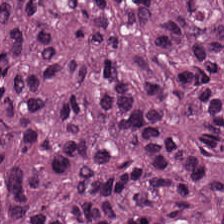H&E; WSI patch.
Q: What tissue is shown?
A: Adenocarcinoma.
